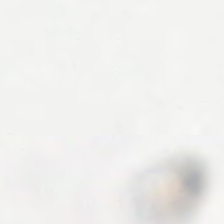Finding — no tissue.
